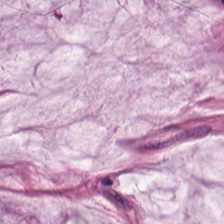Q: What tissue is shown?
A: This is extracellular mucin.
